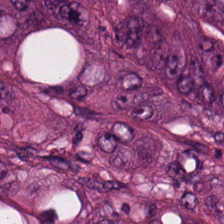Stain: hematoxylin-and-eosin stained section.
Classification: colorectal adenocarcinoma epithelium.
